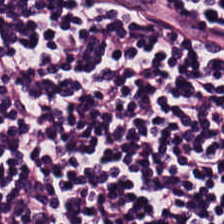H&E stain. Q: What tissue is shown?
A: Lymphocytes.
